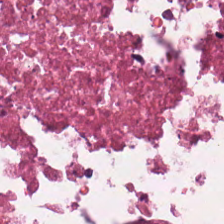H&E-stained tissue section · WSI patch.
Finding → cellular debris.
